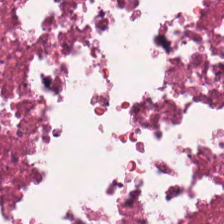H&E stain. The tissue here is debris.
